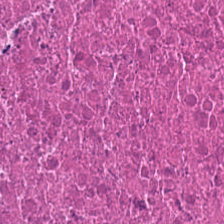FFPE tissue section. 0.5 µm/px. H&E-stained tissue section. Tissue = debris.
